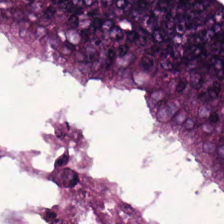Hematoxylin-and-eosin stained section.
The tissue here is colorectal adenocarcinoma.
